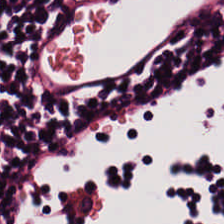0.5 microns per pixel; H&E-stained tissue section. The tissue here is lymphocytes.
